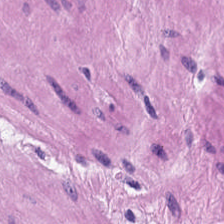Hematoxylin and eosin.
Histology — muscularis.
